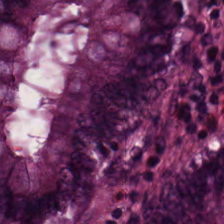Hematoxylin and eosin.
{"tissue_type": "benign colonic mucosa"}
